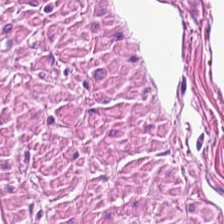H&E. Predominantly muscularis.
